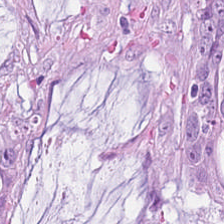Q: What type of tissue is this?
A: The field shows mucin.
